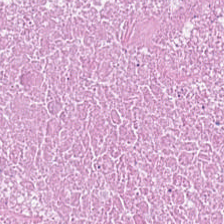Stain: H&E-stained tissue section.
Tissue class: debris.
